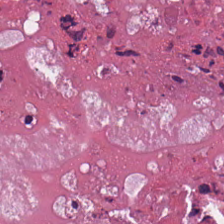Hematoxylin-and-eosin section: necrotic debris.
